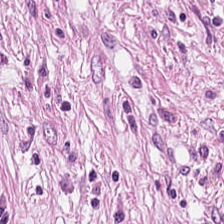H&E-stained tissue section. 20× equivalent magnification. Q: What is shown in this field?
A: It is tumor stroma.
